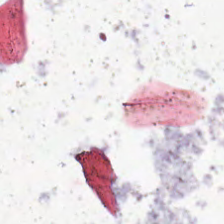Classification = no tissue.
